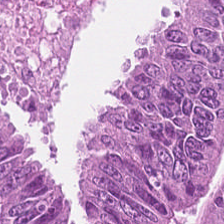Whole-slide-image patch · 224×224 pixel tile · H&E stain — Q: What type of tissue is this?
A: It is colorectal adenocarcinoma.
